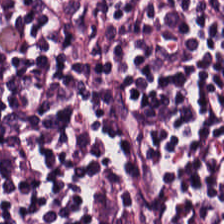Hematoxylin and eosin.
The classification is lymphocytic infiltrate.
